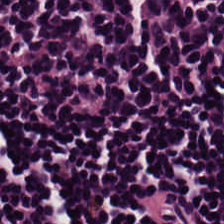FFPE tissue section · brightfield · hematoxylin-and-eosin stained section.
{"tissue_type": "lymphocytes"}
